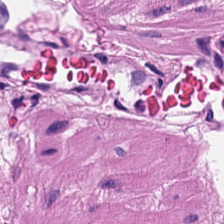Whole-slide-image patch. 224×224 px patch. H&E-stained tissue section — Tissue = muscularis.
